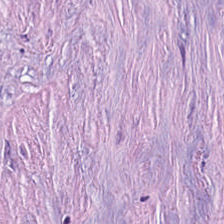224×224 px tile. Hematoxylin and eosin. 0.5 microns per pixel. Impression — tumor stroma.
